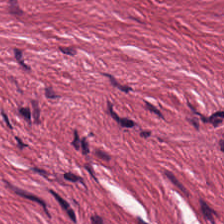Hematoxylin-and-eosin stained section; formalin-fixed paraffin-embedded section.
Q: What is shown in this field?
A: This is tumor stroma.
